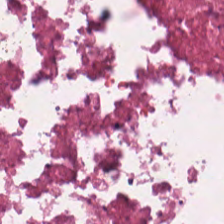Hematoxylin-and-eosin stained section.
Predominant tissue = necrotic debris.
